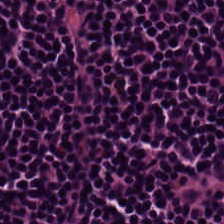Stain: hematoxylin-and-eosin stained section.
Predominant tissue: lymphoid infiltrate.
